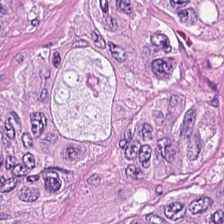The predominant tissue is tumor epithelium.
